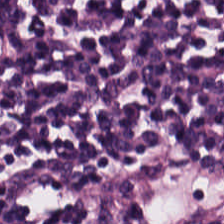H&E-stained tissue section. This patch shows lymphocyte aggregate.
